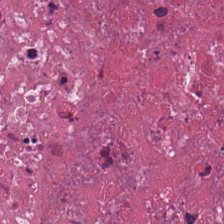H&E. Whole-slide-image patch.
Q: Identify the tissue.
A: It is debris.
